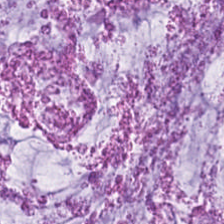Stain: H&E stain.
Tissue: extracellular mucin.
